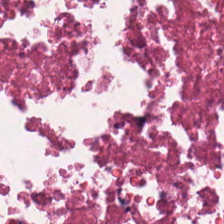Stain: H&E.
Acquisition: brightfield.
Preparation: formalin-fixed paraffin-embedded section.
Classification: necrotic debris.
